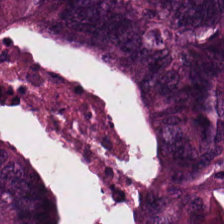FFPE. Hematoxylin-and-eosin stained section — Q: What tissue type is shown here?
A: This is colorectal adenocarcinoma.
